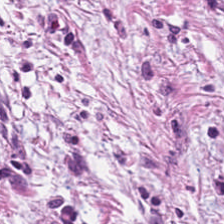Predominant tissue — tumor-associated stroma.
